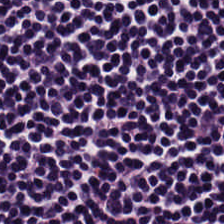Whole-slide-image patch. H&E-stained tissue section. 224×224 px patch.
This patch shows lymphocytes.
